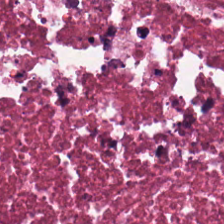FFPE · hematoxylin-and-eosin stained section. This patch shows necrotic debris.
